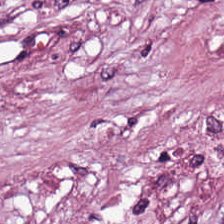Stain: H&E stain.
Tissue type: tumor-associated stroma.
